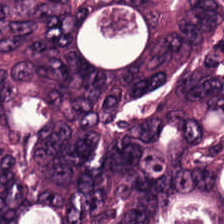H&E-stained tissue section showing colorectal adenocarcinoma epithelium.
